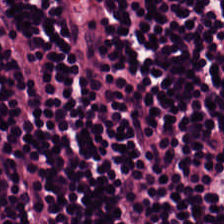Stain: hematoxylin and eosin.
Classification: lymphocytes.
